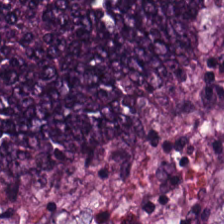Brightfield; hematoxylin-and-eosin stained section.
Showing malignant epithelium.
